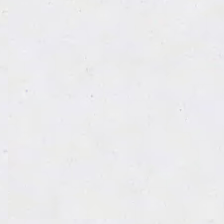H&E-stained tissue section.
Q: What is shown here?
A: The field shows no tissue.
